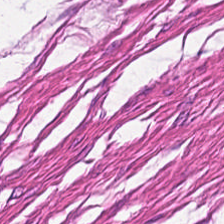WSI patch. H&E stain. FFPE tissue section.
Tissue type: smooth-muscle tissue.
